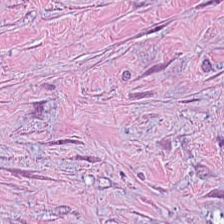0.5 microns per pixel. H&E — Q: What is the predominant tissue type?
A: Desmoplastic stroma.
